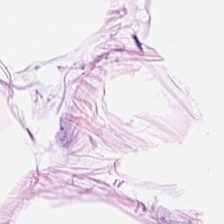H&E stain. This field is adipocytes.
